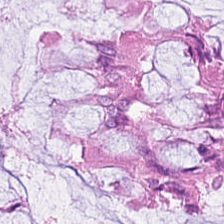224×224 px tile · 0.5 microns per pixel · hematoxylin and eosin — Tissue type: normal colon mucosa.
